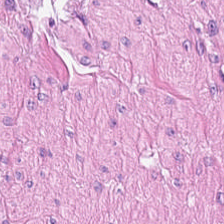Hematoxylin and eosin; 0.5 µm per pixel; 224×224 px patch — Predominant tissue — muscularis.
